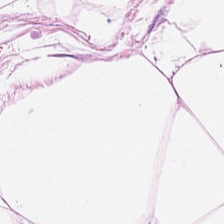Stain: H&E-stained tissue section.
Tile size: 224×224 px tile.
Classification: adipocytes.
